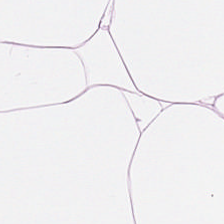Q: What is the predominant tissue type?
A: It is adipose.
